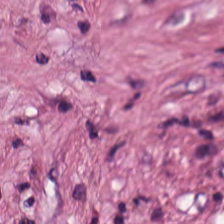Stain: hematoxylin-and-eosin stained section.
Tissue type: tumor-associated stroma.
